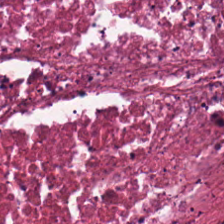This field is cellular debris.
